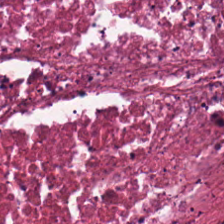This field is cellular debris.
